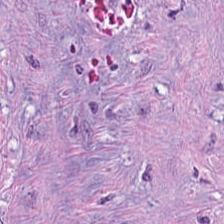224×224 px patch. H&E stain. Formalin-fixed paraffin-embedded section. Tissue type: desmoplastic stroma.
